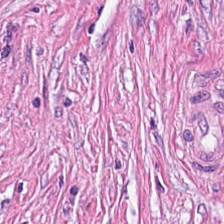0.5 µm/px. Whole-slide-image patch. H&E.
Tissue type — tumor-associated stroma.
